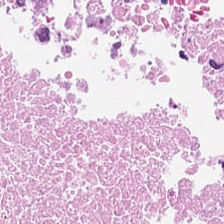Impression — necrotic debris.
